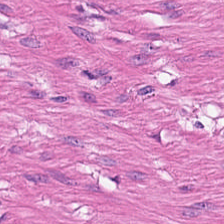{"tissue_type": "smooth-muscle tissue"}
